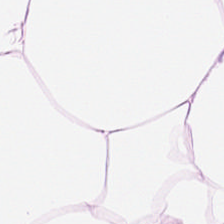224×224 px tile; hematoxylin-and-eosin stained section — Q: What is shown in this field?
A: This is adipose tissue.
